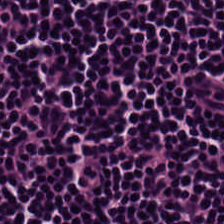Q: What tissue type is shown here?
A: It is lymphocytic infiltrate.
